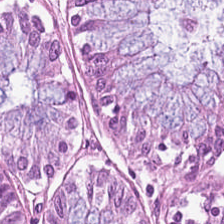Hematoxylin and eosin — Q: Identify the tissue.
A: Normal colon mucosa.
